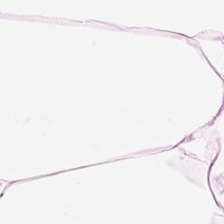Showing fat tissue.
